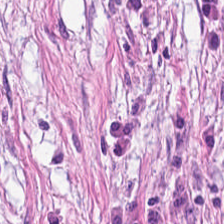WSI patch · H&E.
Showing cancer-associated stroma.
